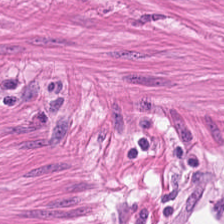Stain: hematoxylin-and-eosin stained section.
Tile size: 224×224 px tile.
Preparation: FFPE.
Tissue class: smooth-muscle tissue.
